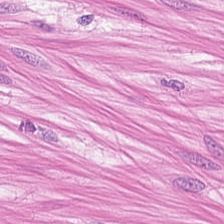Showing muscularis.
